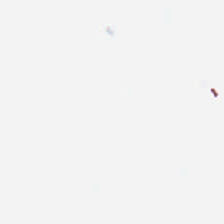{"content": "background"}
